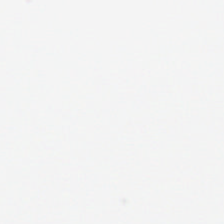Hematoxylin and eosin — Content — background.
